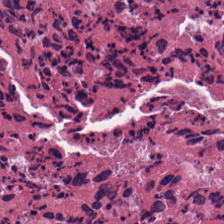Stain: hematoxylin-and-eosin stained section.
Acquisition: brightfield.
Tissue type: necrotic debris.
